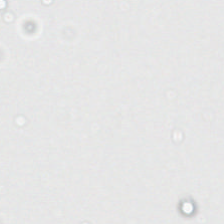H&E stain; 224×224 pixel tile.
Background — no tissue in this field.
